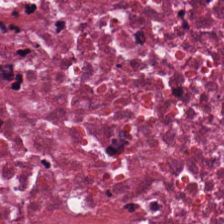Whole-slide-image patch · hematoxylin and eosin.
Tissue — necrotic debris.
